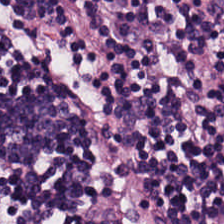Brightfield · hematoxylin and eosin.
Tissue type = lymphocyte aggregate.
